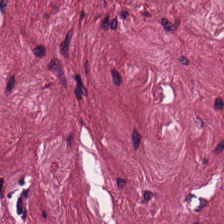Hematoxylin-and-eosin stained section. Brightfield.
The predominant tissue is tumor-associated stroma.
